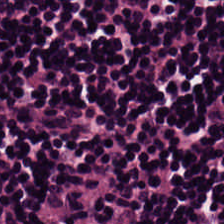Hematoxylin-and-eosin stained section; 20× equivalent magnification. The predominant tissue is lymphocyte aggregate.
